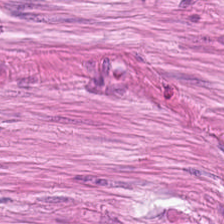H&E stain; 224×224 pixel tile. This patch shows muscularis.
